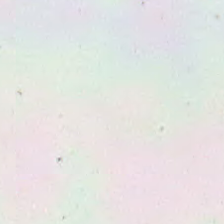This patch shows empty background.
